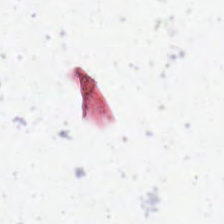Empty field — background.
